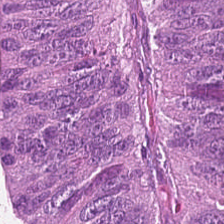Hematoxylin-and-eosin stained section · FFPE — Q: What is shown here?
A: The field shows colorectal adenocarcinoma epithelium.
